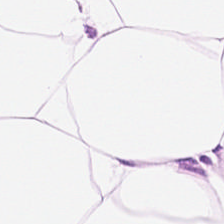Hematoxylin and eosin. FFPE tissue section.
Predominantly adipocytes.
